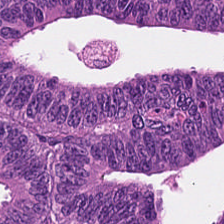Hematoxylin-and-eosin stained section. Predominant tissue = tumor epithelium.
